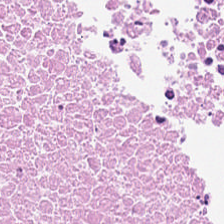H&E. Predominantly cellular debris.
